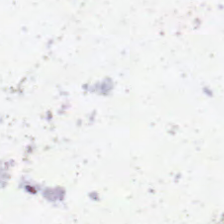Brightfield; hematoxylin-and-eosin stained section — Field content — empty background.
